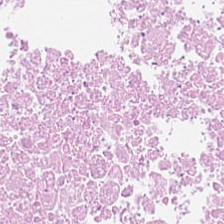H&E-stained tissue section.
The predominant tissue is debris.
